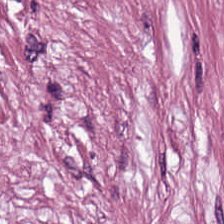Hematoxylin-and-eosin stained section · 224×224 px patch. Q: What tissue is shown?
A: It is cancer-associated stroma.
